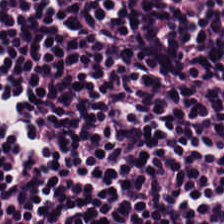0.5 µm per pixel · FFPE tissue section · H&E-stained tissue section — The tissue class is lymphoid infiltrate.
